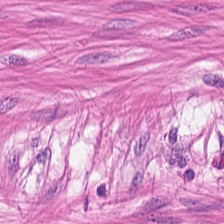Hematoxylin and eosin.
Q: Classify this patch.
A: This is smooth-muscle tissue.
